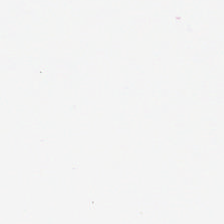Histology — empty background.
